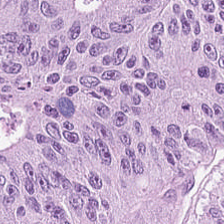H&E stain — Predominantly adenocarcinoma.
